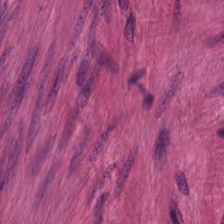224×224 px patch; H&E stain.
Predominant tissue: smooth muscle.
